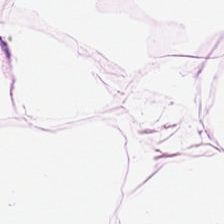H&E stain · 0.5 microns per pixel.
{"tissue_type": "adipocytes"}
